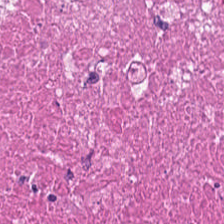H&E-stained tissue section. Brightfield microscopy. Tissue type = debris.
